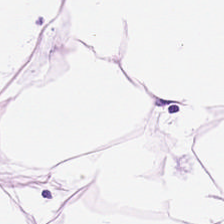Hematoxylin-and-eosin stained section.
Showing fat tissue.
